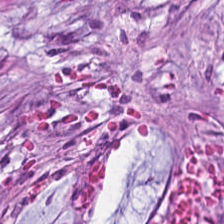Stain: H&E.
Tissue class: cancer-associated stroma.
